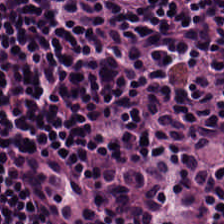H&E stain. Q: What is the predominant tissue type?
A: This is lymphocytes.
